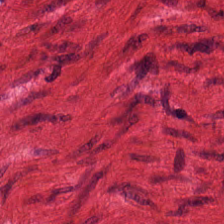Stain: hematoxylin and eosin.
Tissue class: smooth-muscle tissue.
